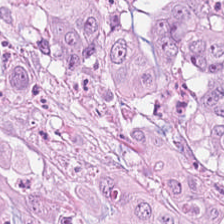0.5 microns per pixel. 224×224 pixel tile. H&E stain. This field is tumor epithelium.
